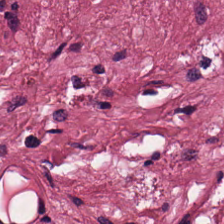Tissue class — cancer-associated stroma.
